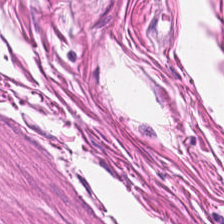0.5 µm per pixel; hematoxylin and eosin.
Q: Identify the tissue.
A: It is muscularis.
